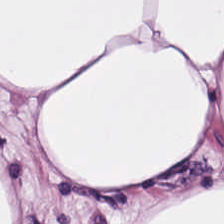Stain: H&E-stained tissue section.
Predominant tissue: adipocytes.
